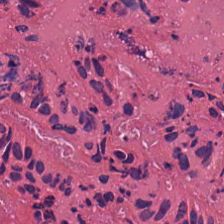H&E — necrotic debris.
